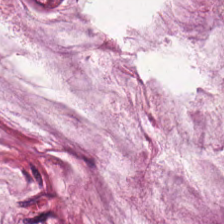H&E-stained tissue section; 0.5 microns per pixel. This patch shows extracellular mucin.
